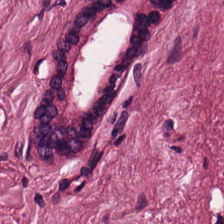Hematoxylin-and-eosin stained section · whole-slide-image patch — {"tissue_type": "tumor-associated stroma"}
